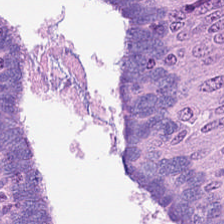H&E-stained tissue section · 0.5 microns per pixel — This field is adenocarcinoma.
